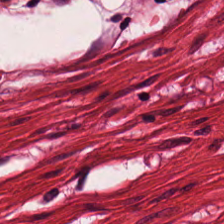H&E-stained tissue section. Whole-slide-image patch.
Showing muscularis.
